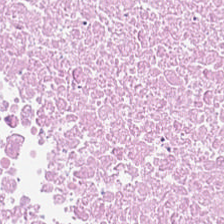224×224 pixel tile. H&E-stained tissue section. This field is cellular debris.
